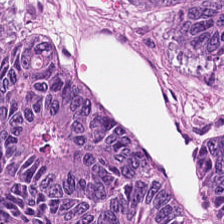Hematoxylin and eosin; 0.5 microns per pixel — Showing malignant epithelium.
